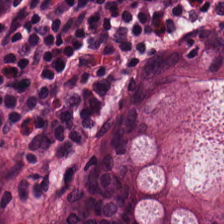Hematoxylin and eosin. Whole-slide-image patch.
Q: What is shown here?
A: This is benign colonic mucosa.
